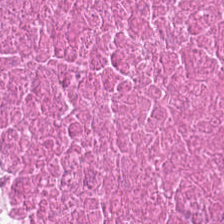FFPE; H&E-stained tissue section.
Tissue type = debris.
